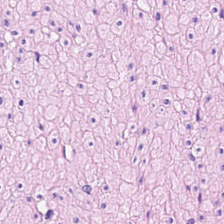0.5 microns per pixel; H&E stain. Q: What is the predominant tissue type?
A: The field shows smooth muscle.
